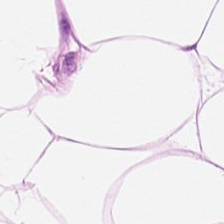224×224 px tile. H&E stain. Brightfield microscopy — Showing adipose tissue.
